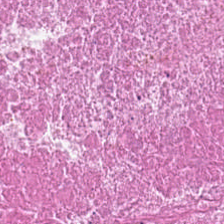Classification = cellular debris.
